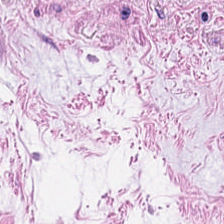Q: What does this patch show?
A: Smooth-muscle tissue.
